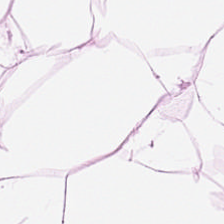Hematoxylin-and-eosin stained section; FFPE. Q: What tissue is shown?
A: It is adipose.
